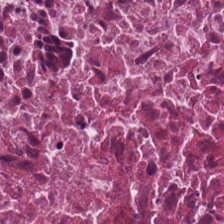Q: What is shown here?
A: This is debris.
